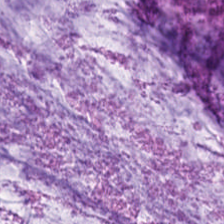Stain: hematoxylin-and-eosin stained section.
Resolution: 0.5 µm/px.
Tile size: 224×224 px tile.
Predominant tissue: mucus.
